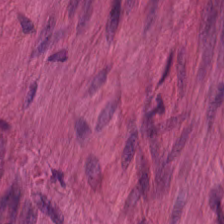224×224 px tile. Brightfield. H&E-stained tissue section.
Q: What tissue type is shown here?
A: It is smooth-muscle tissue.
